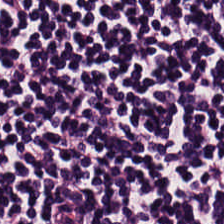224×224 px tile; 0.5 µm/px; H&E — Predominantly lymphocytes.
